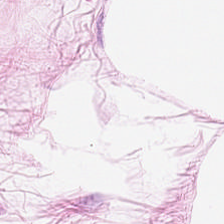The predominant tissue is adipose.
